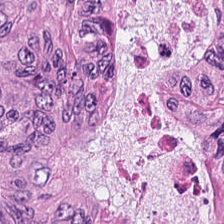Hematoxylin and eosin.
Predominant tissue — colorectal adenocarcinoma.
